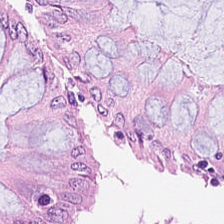H&E stain.
Tissue class — benign colonic mucosa.
